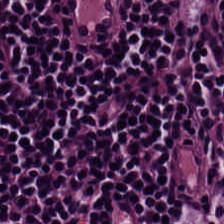Stain: hematoxylin-and-eosin stained section.
Acquisition: brightfield.
Preparation: FFPE.
Predominant tissue: lymphocyte aggregate.
